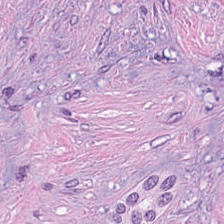Stain: hematoxylin and eosin.
Acquisition: brightfield microscopy.
Tissue class: necrotic debris.
